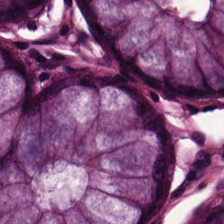{"tissue_type": "normal colon mucosa"}
